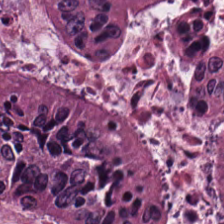Hematoxylin-and-eosin stained section. Q: What tissue type is shown here?
A: This is tumor epithelium.
